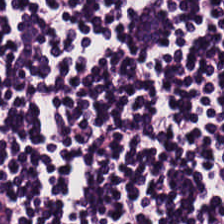H&E stain — Q: What tissue type is shown here?
A: The field shows lymphocytic infiltrate.
